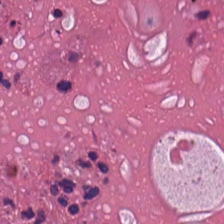H&E.
The tissue here is necrotic debris.
